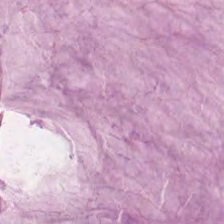Brightfield microscopy. H&E-stained tissue section. Mucus.
